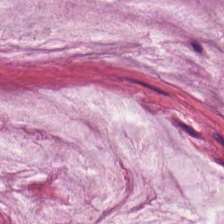Hematoxylin and eosin · WSI patch. Histology — extracellular mucin.
